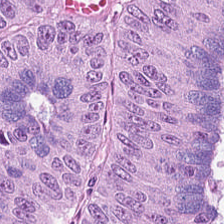Hematoxylin-and-eosin stained section.
This patch shows malignant epithelium.
